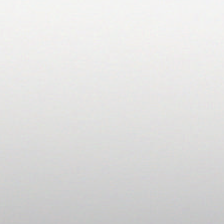Field content — no tissue.
